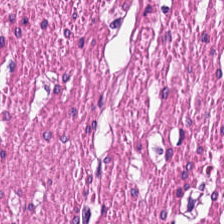The tissue type is smooth muscle.
